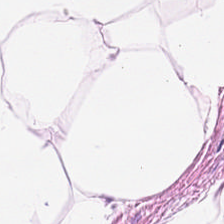The tissue here is adipocytes.
